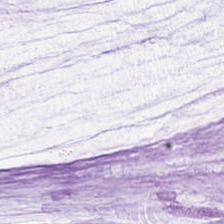H&E stain — Extracellular mucin.
